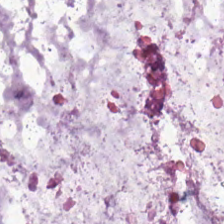H&E stain. Showing mucin.
